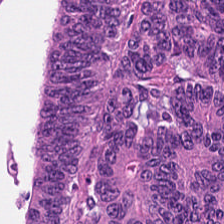Stain: hematoxylin-and-eosin stained section.
Preparation: FFPE tissue section.
Resolution: 0.5 µm/px.
Tissue class: tumor epithelium.
